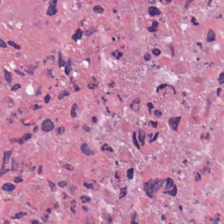H&E.
Q: What tissue is shown?
A: This is necrotic debris.
